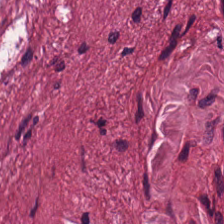H&E — Q: What does this patch show?
A: It is tumor stroma.
